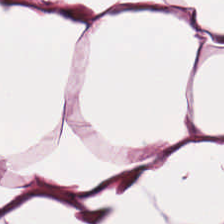Hematoxylin and eosin — Predominantly adipose tissue.
